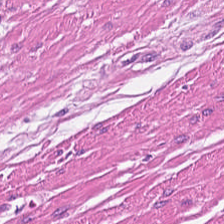Histology → muscularis.
